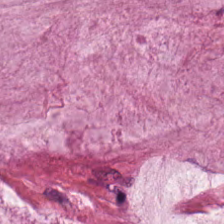H&E; 0.5 microns per pixel.
Finding — extracellular mucin.
